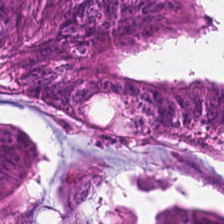H&E · 224×224 pixel tile · brightfield — This field is colorectal adenocarcinoma.
